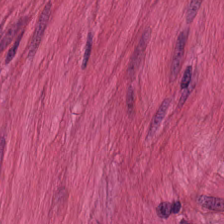Hematoxylin-and-eosin stained section.
The predominant tissue is muscularis.
